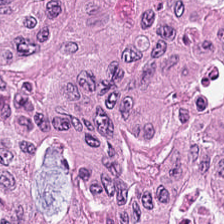Stain: H&E stain.
Preparation: FFPE tissue section.
Tissue: colorectal adenocarcinoma epithelium.
